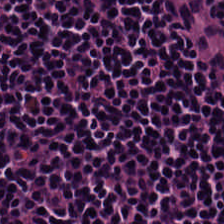H&E-stained tissue section. 0.5 microns per pixel. This patch shows lymphocyte aggregate.
